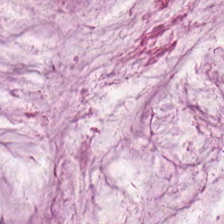FFPE tissue section · brightfield · hematoxylin and eosin. Showing extracellular mucin.
